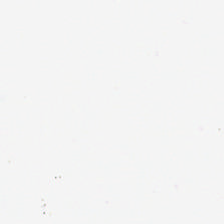Background — no tissue in this field.
